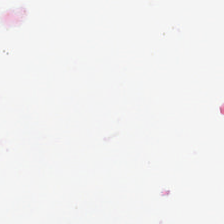H&E-stained tissue section.
This field is background (no tissue).
